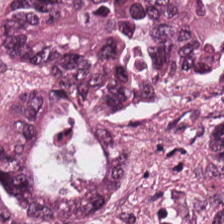Finding — colorectal adenocarcinoma.
